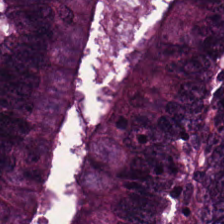H&E stain. 0.5 microns per pixel. 224×224 px patch. Tissue — tumor epithelium.
